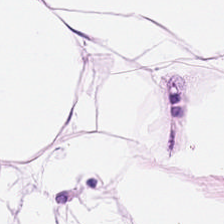224×224 px tile; H&E — Predominantly adipose.
